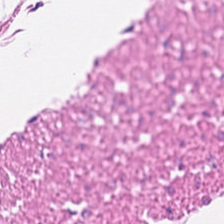H&E-stained tissue section showing muscularis.
